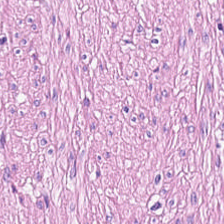H&E stain. FFPE — This patch shows muscularis.
